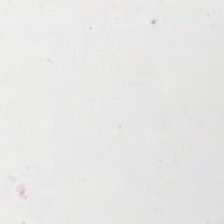H&E stain.
This patch shows background.
